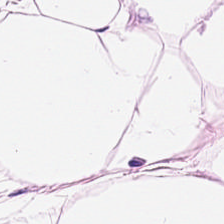Q: Classify this patch.
A: It is adipose.
